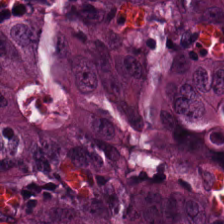H&E — Finding → malignant epithelium.
